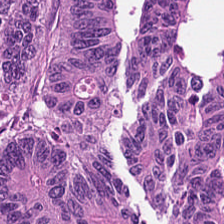224×224 pixel tile; H&E stain — This patch shows tumor epithelium.
